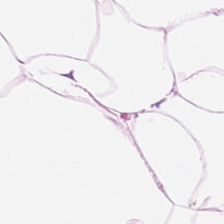This patch shows adipocytes.
